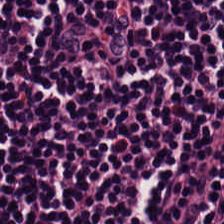H&E stain · brightfield. The tissue type is lymphocyte aggregate.
